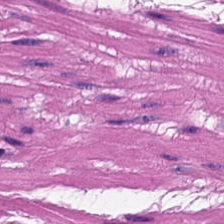Brightfield; H&E. Q: Classify this patch.
A: It is smooth-muscle tissue.
